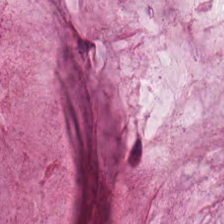Formalin-fixed paraffin-embedded section. H&E-stained tissue section — Predominantly extracellular mucin.
